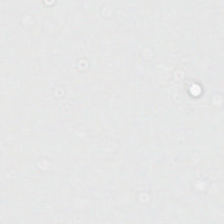H&E-stained tissue section; 0.5 microns per pixel.
Background — no tissue in this field.
